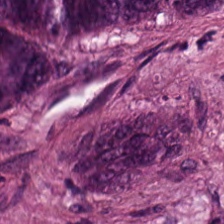Stain: H&E.
Classification: colorectal adenocarcinoma.
